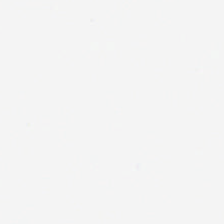FFPE tissue section · H&E stain — Finding — empty background.
